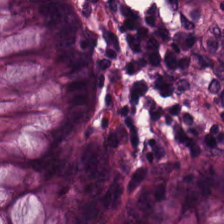H&E; brightfield. The predominant tissue is non-neoplastic colon mucosa.
